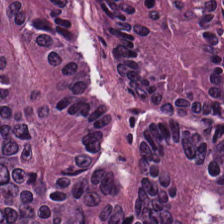FFPE · brightfield microscopy · H&E-stained tissue section. This field is adenocarcinoma.
